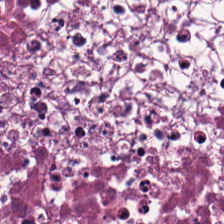Hematoxylin-and-eosin stained section.
This patch shows cellular debris.
